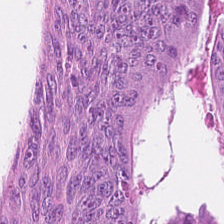224×224 px tile; hematoxylin and eosin; 20× equivalent magnification.
Tissue = adenocarcinoma.
